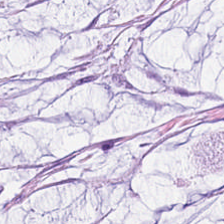Formalin-fixed paraffin-embedded section · hematoxylin and eosin.
The tissue here is mucus.
